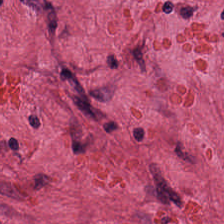Hematoxylin and eosin. Histology → desmoplastic stroma.
